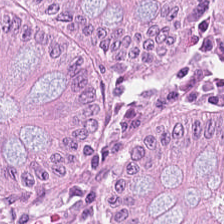Hematoxylin and eosin — Showing normal colon mucosa.
